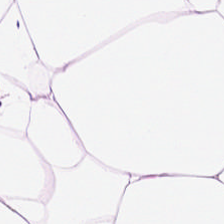H&E-stained tissue section. FFPE tissue section. 224×224 px tile.
Classification = fat tissue.
